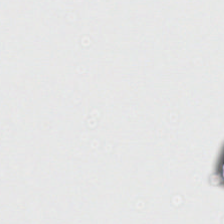Hematoxylin and eosin.
This field is background (no tissue).
